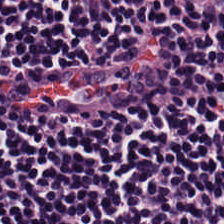Histology — lymphocytic infiltrate.
